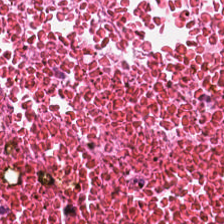{"tissue_type": "cellular debris"}
